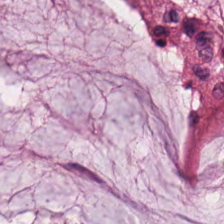Hematoxylin-and-eosin stained section — Q: Classify this patch.
A: The field shows mucin.
